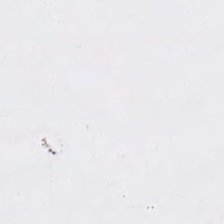H&E-stained tissue section. Q: What does this patch show?
A: This is no tissue.
